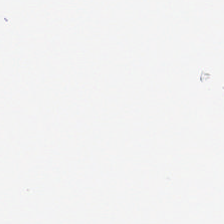20× equivalent magnification; H&E stain — Q: What does this patch show?
A: It is background (no tissue).
